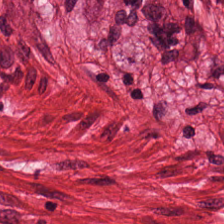224×224 pixel tile · H&E-stained tissue section — The tissue here is muscularis.
